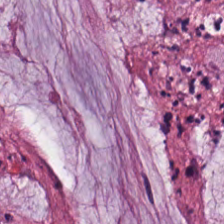FFPE. Hematoxylin and eosin. This patch shows mucus.
